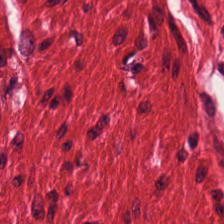Hematoxylin and eosin.
Q: Identify the tissue.
A: Muscularis.
